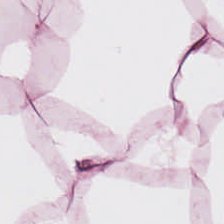Brightfield microscopy. 0.5 µm per pixel. H&E-stained tissue section.
Tissue type: adipocytes.
